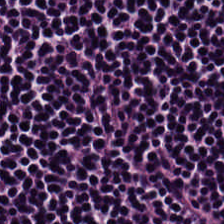Stain: hematoxylin and eosin.
Acquisition: WSI patch.
Classification: lymphoid infiltrate.
